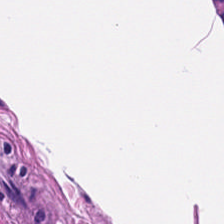Predominantly smooth muscle.
